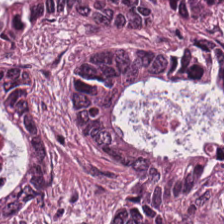H&E.
Q: What is shown here?
A: It is colorectal adenocarcinoma.
